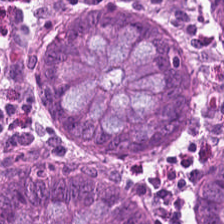Stain: hematoxylin and eosin.
Preparation: FFPE tissue section.
Classification: normal colon mucosa.
